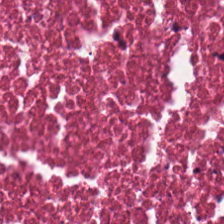H&E.
Classification — debris.
